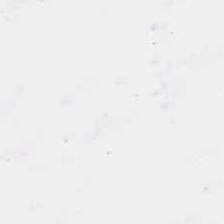Q: What does this patch show?
A: The field shows no tissue.
